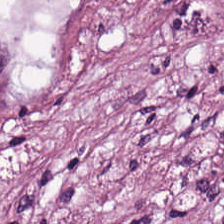H&E-stained tissue section — Tissue type = tumor-associated stroma.
